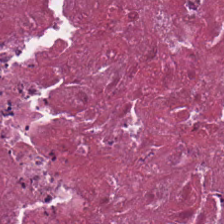H&E.
Tissue type: debris.
